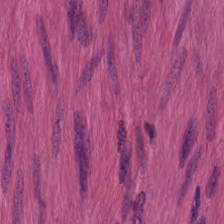0.5 µm per pixel; 224×224 px tile; H&E — Smooth-muscle tissue.
